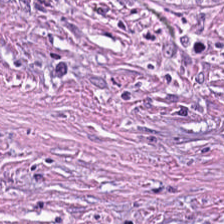H&E — Q: What is the predominant tissue type?
A: The field shows cancer-associated stroma.
